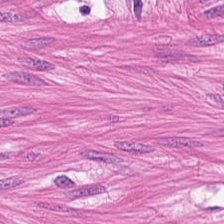Q: Identify the tissue.
A: This is smooth-muscle tissue.
